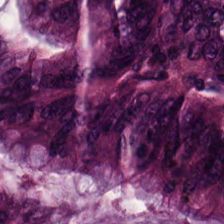Hematoxylin-and-eosin stained section. 20× equivalent magnification — Tumor epithelium.
